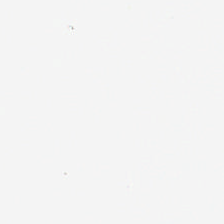H&E-stained tissue section. Brightfield. FFPE tissue section. The content is no tissue.
